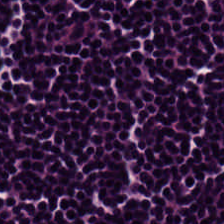H&E. The tissue is lymphocytic infiltrate.
